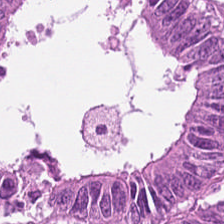H&E-stained tissue section · 224×224 pixel tile.
Tissue class: colorectal adenocarcinoma.
